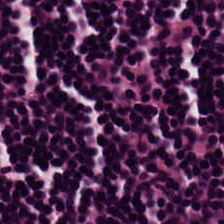Stain: hematoxylin-and-eosin stained section.
Resolution: 0.5 µm/px.
Tissue class: lymphocytes.
